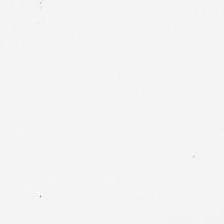Stain: hematoxylin and eosin.
Content: background.
